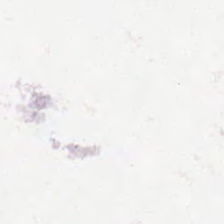Hematoxylin-and-eosin stained section; 0.5 µm per pixel; FFPE — This field is background (no tissue).
